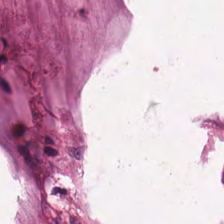Hematoxylin and eosin — Mucus.
